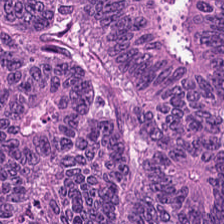0.5 microns per pixel. Hematoxylin and eosin — Q: What type of tissue is this?
A: The field shows malignant epithelium.
